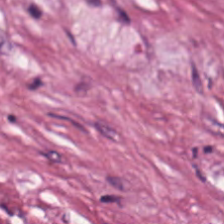Hematoxylin and eosin. Finding → desmoplastic stroma.
